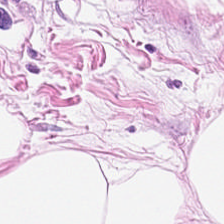Stain: H&E.
Resolution: 0.5 µm/px.
Tile size: 224×224 px tile.
Classification: adipocytes.
